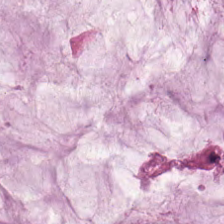224×224 px tile; H&E; brightfield microscopy — Q: What tissue is shown?
A: Extracellular mucin.
